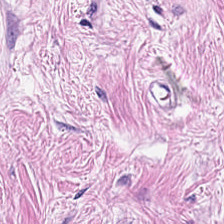Hematoxylin-and-eosin stained section. FFPE. Showing cancer-associated stroma.
